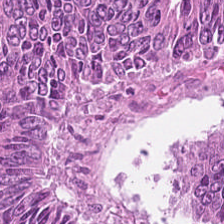H&E-stained tissue section · 0.5 µm per pixel · FFPE — The tissue here is colorectal adenocarcinoma.
